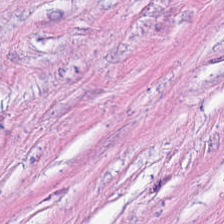Finding — tumor stroma.
